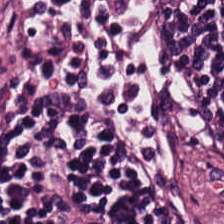H&E stain; 224×224 px patch. The predominant tissue is lymphocytic infiltrate.
